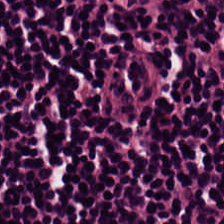H&E-stained tissue section — Tissue type — lymphoid infiltrate.
